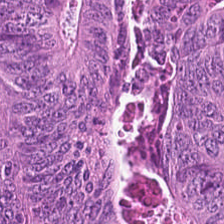Hematoxylin-and-eosin stained section — {"tissue_type": "adenocarcinoma"}
